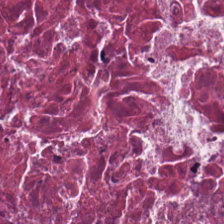FFPE; 224×224 px patch; H&E stain. Classification: cellular debris.
